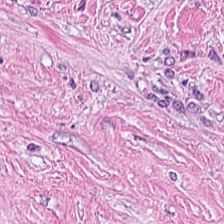H&E stain · formalin-fixed paraffin-embedded section · brightfield microscopy.
Predominantly desmoplastic stroma.
